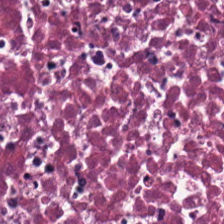H&E — Histology — debris.
